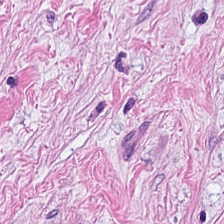H&E-stained tissue section; brightfield.
The tissue here is desmoplastic stroma.
